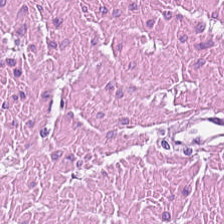Tissue class — muscularis.
